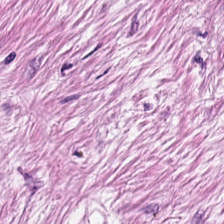Brightfield; hematoxylin and eosin; 20× equivalent magnification. Tissue = cancer-associated stroma.
